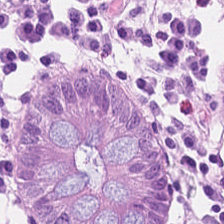H&E. The predominant tissue is non-neoplastic colon mucosa.
